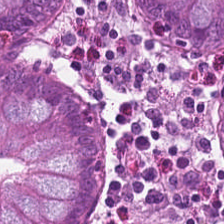Hematoxylin and eosin — Non-neoplastic colon mucosa.
